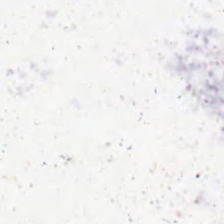Q: What does this patch show?
A: The field shows background.
